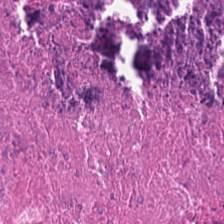224×224 px tile. Hematoxylin-and-eosin stained section — Impression — debris.
